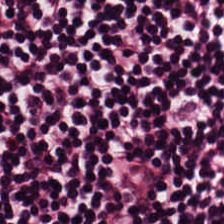H&E-stained tissue section. 0.5 µm/px. FFPE tissue section. Tissue: lymphocytes.
